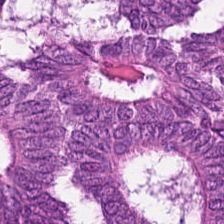224×224 px patch. Brightfield microscopy. H&E-stained tissue section. {"tissue_type": "malignant epithelium"}
